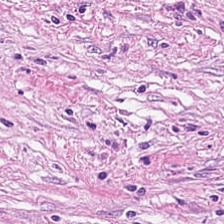FFPE tissue section. Hematoxylin-and-eosin stained section. {"tissue_type": "tumor stroma"}
